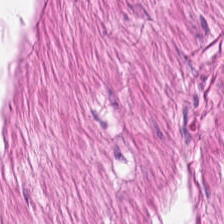Hematoxylin and eosin. WSI patch. The predominant tissue is smooth muscle.
